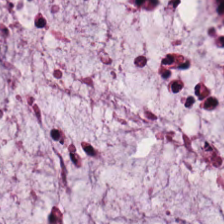H&E · whole-slide-image patch · 0.5 µm/px. Q: What tissue is shown?
A: It is mucus.
